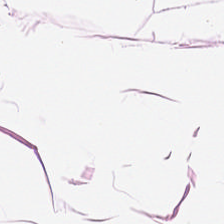20× equivalent magnification; H&E-stained tissue section.
{"tissue_type": "adipocytes"}
